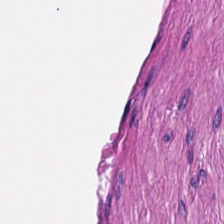{"tissue_type": "smooth-muscle tissue"}
